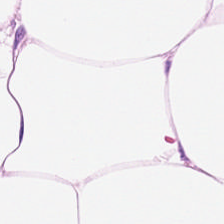{"tissue_type": "adipose"}
